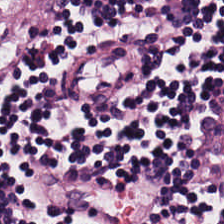Finding → lymphocyte aggregate.
